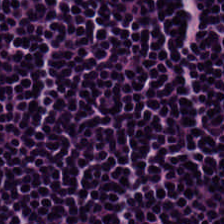{"tissue_type": "lymphocyte aggregate"}
